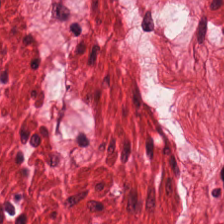Stain: H&E stain.
Predominant tissue: smooth muscle.
